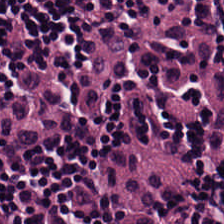Stain: H&E-stained tissue section.
Predominant tissue: lymphocyte aggregate.
